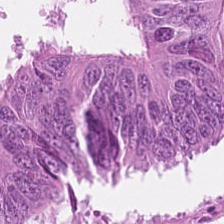This field is malignant epithelium.
